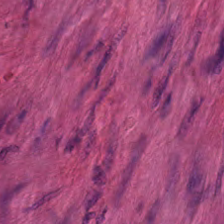H&E stain. This field is smooth-muscle tissue.
